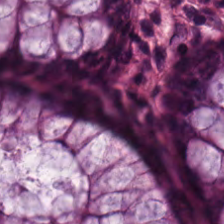H&E-stained tissue section. 0.5 microns per pixel. FFPE tissue section — Classification = benign colonic mucosa.
